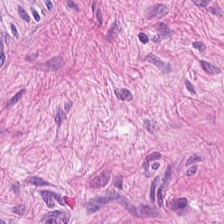Q: What is shown in this field?
A: The field shows muscularis.
